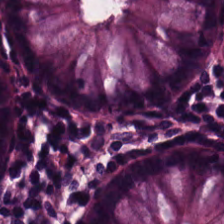H&E; WSI patch.
The predominant tissue is normal colonic mucosa.
